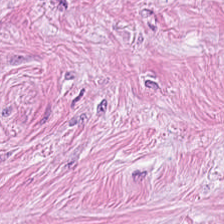H&E stain — Finding → desmoplastic stroma.
